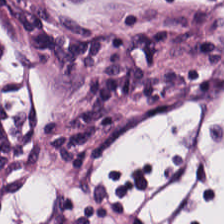H&E stain — Q: What is shown here?
A: The field shows lymphocytes.
